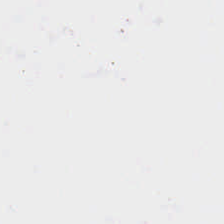H&E-stained tissue section.
Content = no tissue.
